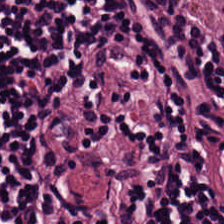Stain: hematoxylin and eosin.
Resolution: 0.5 µm per pixel.
Classification: lymphocytes.
